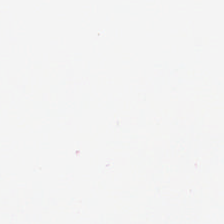FFPE · hematoxylin-and-eosin stained section.
No tissue present; background only.
